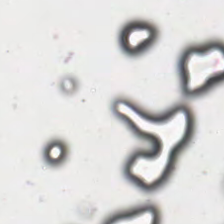H&E.
Field content = background (no tissue).
